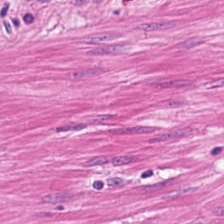Tissue — smooth-muscle tissue.
